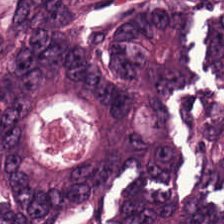H&E-stained tissue section. Colorectal adenocarcinoma.
